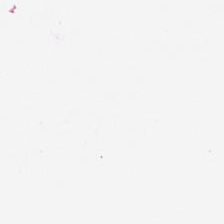{"content": "no tissue"}
